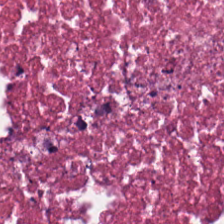H&E · WSI patch · formalin-fixed paraffin-embedded section. Tissue type = necrotic debris.
